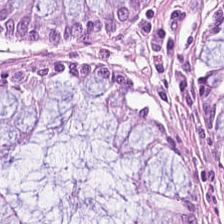Stain: hematoxylin-and-eosin stained section.
Tissue: normal colonic mucosa.
